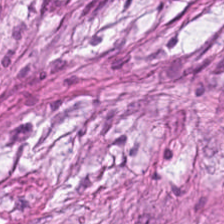Stain: H&E-stained tissue section.
Tile size: 224×224 px patch.
Tissue: desmoplastic stroma.
